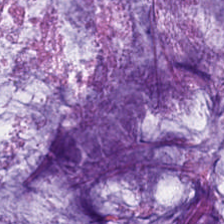The tissue type is mucus.
